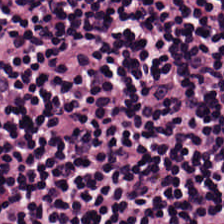H&E-stained tissue section. FFPE.
Classification: lymphoid infiltrate.
